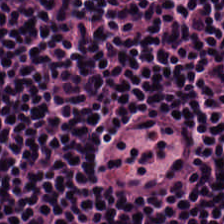Hematoxylin-and-eosin stained section. Histology — lymphocyte aggregate.
